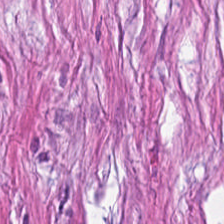Hematoxylin and eosin; brightfield microscopy — The tissue class is cancer-associated stroma.
